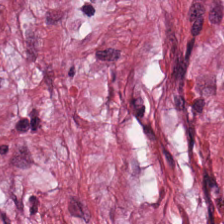Brightfield microscopy; H&E-stained tissue section. This field is cancer-associated stroma.
